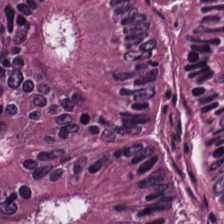Predominantly colorectal adenocarcinoma epithelium.
